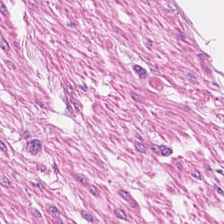H&E stain.
Impression → smooth muscle.
